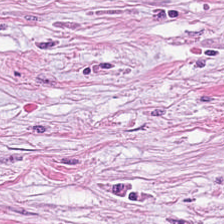H&E-stained tissue section — The tissue is tumor-associated stroma.
